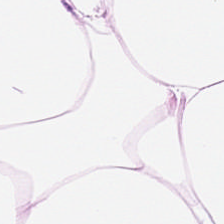{"tissue_type": "fat tissue"}
